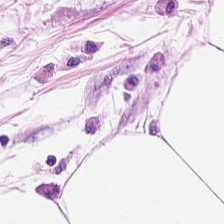This field is adipocytes.
